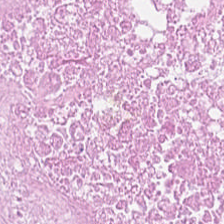Tissue type — cellular debris.
